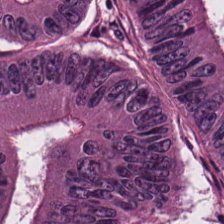0.5 microns per pixel · H&E stain.
Q: Classify this patch.
A: Colorectal adenocarcinoma.
